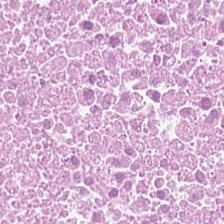H&E · 0.5 µm/px · brightfield microscopy — Predominantly cellular debris.
